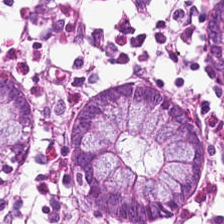FFPE. 224×224 px patch. H&E stain — Impression — non-neoplastic colon mucosa.
